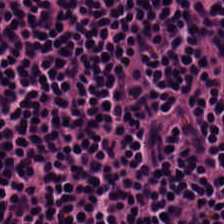Hematoxylin-and-eosin stained section · 0.5 microns per pixel · FFPE. {"tissue_type": "lymphocytes"}
